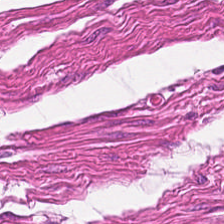Hematoxylin and eosin — The predominant tissue is smooth muscle.
